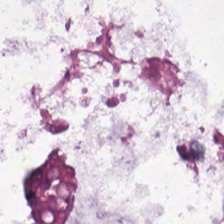H&E-stained tissue section.
The predominant tissue is extracellular mucin.
